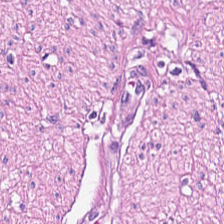FFPE; H&E — Impression → smooth-muscle tissue.
